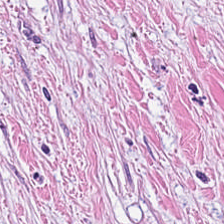Tissue — tumor stroma.
